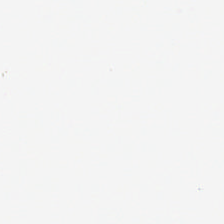Hematoxylin and eosin.
Background — no tissue in this field.
